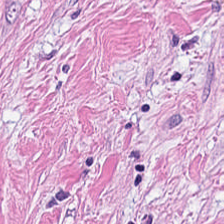H&E patch showing desmoplastic stroma.
